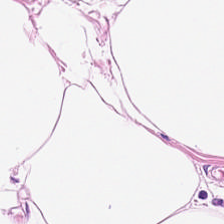Hematoxylin-and-eosin stained section. FFPE tissue section — This patch shows adipose tissue.
